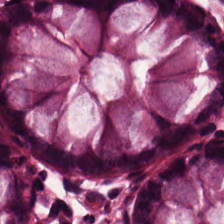H&E stain.
Q: What is shown in this field?
A: It is benign colonic mucosa.
